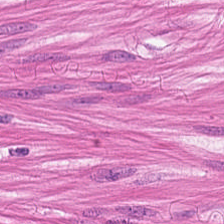WSI patch · H&E — The tissue class is smooth-muscle tissue.
